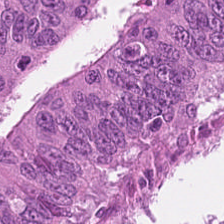H&E — Q: What is the predominant tissue type?
A: It is adenocarcinoma.
